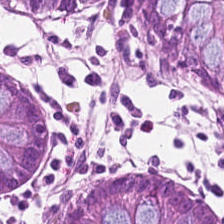H&E-stained section; the field shows normal colonic mucosa.
